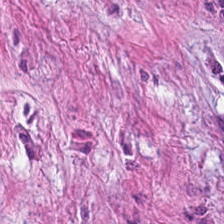H&E stain.
Cancer-associated stroma.
